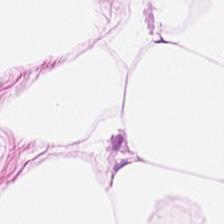H&E. Showing adipocytes.
